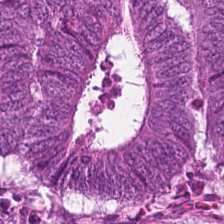Colorectal adenocarcinoma.
